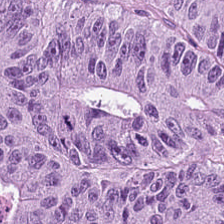H&E stain — The tissue here is malignant epithelium.
